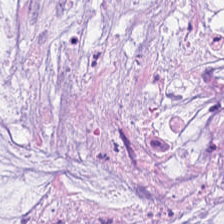FFPE tissue section; brightfield; H&E-stained tissue section. Q: What tissue is shown?
A: It is mucus.
